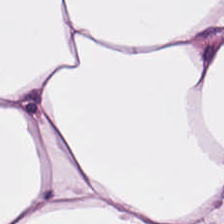Hematoxylin-and-eosin stained section — This field is adipose.
